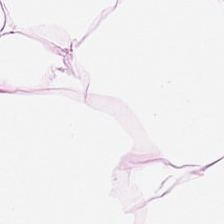H&E stain; 0.5 µm per pixel.
This field is fat tissue.
